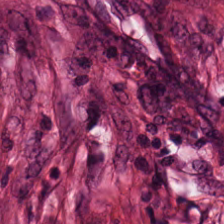Formalin-fixed paraffin-embedded section. 0.5 µm per pixel. H&E-stained tissue section — This patch shows tumor stroma.
